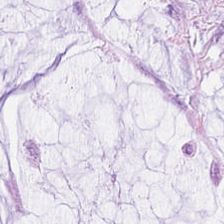224×224 px tile · brightfield · H&E-stained tissue section — Predominantly mucus.
